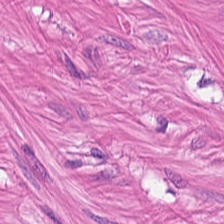Q: Identify the tissue.
A: This is muscularis.
